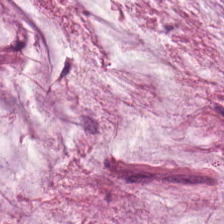Hematoxylin-and-eosin stained section.
Extracellular mucin.
